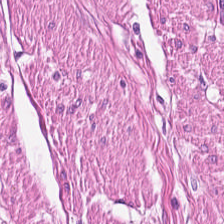H&E stain. 224×224 px patch — Histology → smooth muscle.
